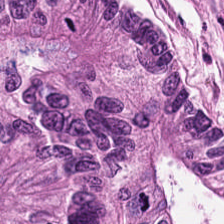Hematoxylin and eosin; FFPE — {"tissue_type": "adenocarcinoma"}
